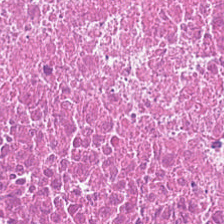FFPE · 224×224 pixel tile · H&E. Classification = debris.
